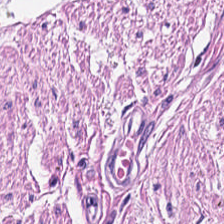H&E. Tissue type = smooth muscle.
